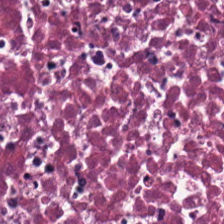H&E stain.
Histology → cellular debris.
